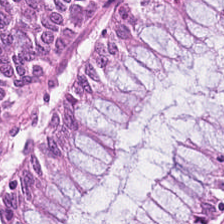H&E.
Non-neoplastic colon mucosa.
